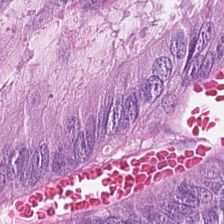H&E-stained section; the field shows tumor epithelium.
